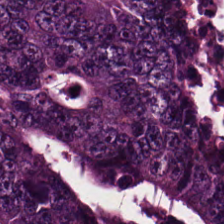H&E stain. This field is adenocarcinoma.
